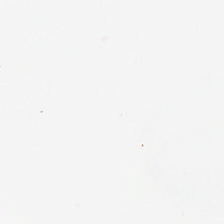H&E stain · FFPE tissue section — This field is background (no tissue).
